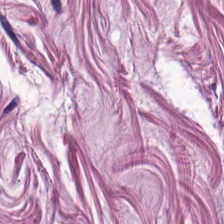Q: What is shown in this field?
A: The field shows smooth muscle.
